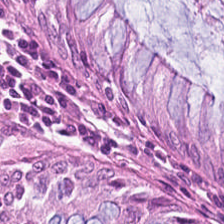FFPE; H&E stain.
Predominantly normal colonic mucosa.
